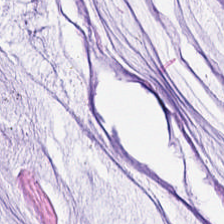Hematoxylin-and-eosin stained section. Finding → mucus.
